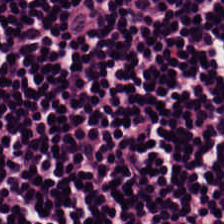224×224 pixel tile. H&E.
{"tissue_type": "lymphoid infiltrate"}
